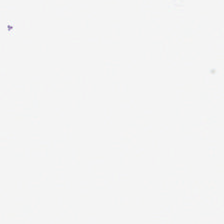Histology — empty background.
